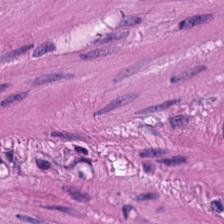Hematoxylin-and-eosin stained section.
Predominantly smooth-muscle tissue.
